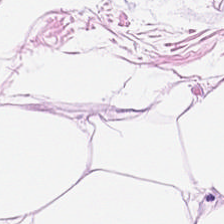Finding — adipose.
